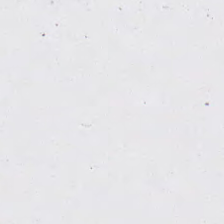H&E.
Finding → background.
